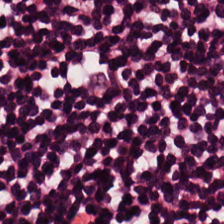H&E.
Tissue = lymphocytic infiltrate.
